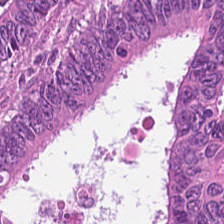H&E-stained tissue section; brightfield microscopy; 20× equivalent magnification. Impression — adenocarcinoma.
